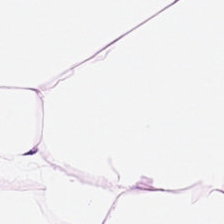Hematoxylin-and-eosin section: adipose.
